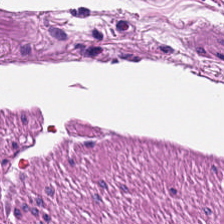H&E. The tissue class is muscularis.
